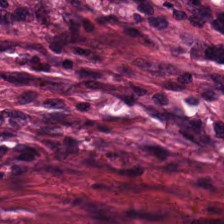H&E-stained tissue section.
Predominantly tumor-associated stroma.
